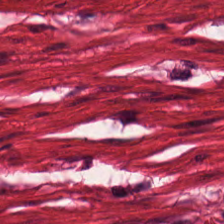Hematoxylin and eosin.
Q: What tissue type is shown here?
A: The field shows smooth-muscle tissue.
